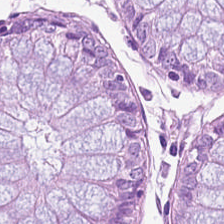Predominant tissue = normal colon mucosa.
